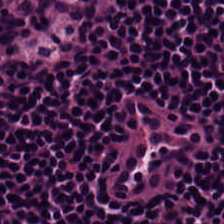Q: What type of tissue is this?
A: It is lymphocyte aggregate.
